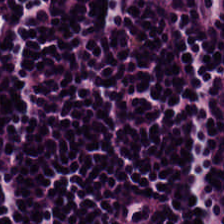Hematoxylin and eosin.
Showing lymphocyte aggregate.
